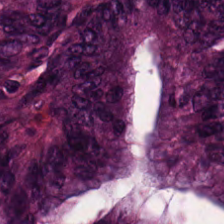Stain: H&E stain.
Classification: colorectal adenocarcinoma.
